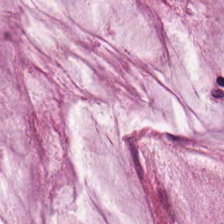Predominant tissue = extracellular mucin.
